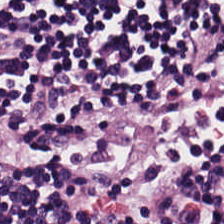Stain: hematoxylin-and-eosin stained section.
Acquisition: brightfield.
Tile size: 224×224 px patch.
Tissue class: lymphoid infiltrate.
